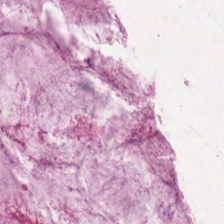FFPE tissue section; H&E-stained tissue section.
Q: What is shown in this field?
A: The field shows mucin.
